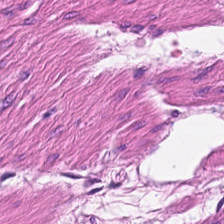224×224 pixel tile; H&E stain. Q: What is shown in this field?
A: This is smooth muscle.
